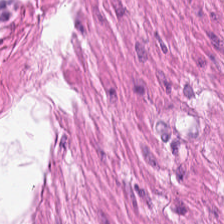This patch shows smooth-muscle tissue.
